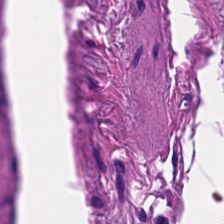Tissue type: smooth-muscle tissue.
